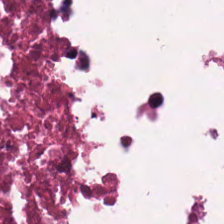H&E stain. Showing necrotic debris.
